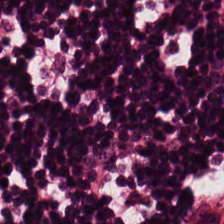224×224 pixel tile. Hematoxylin and eosin. Brightfield microscopy. Classification — lymphocytic infiltrate.
